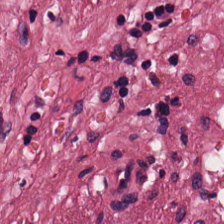H&E-stained tissue section. Tumor-associated stroma.
